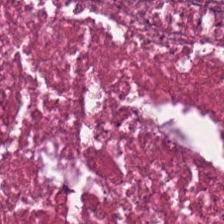H&E-stained tissue section.
Impression — cellular debris.
